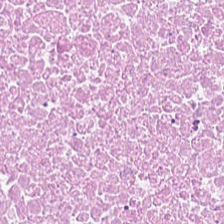Showing cellular debris.
